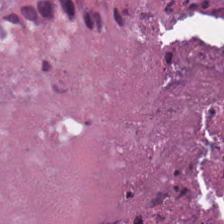H&E.
{"tissue_type": "debris"}
